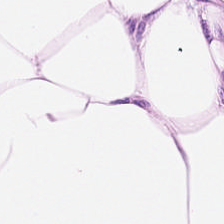Hematoxylin and eosin.
The tissue here is adipose.
